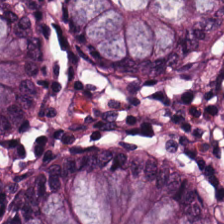The tissue here is normal colonic mucosa.
